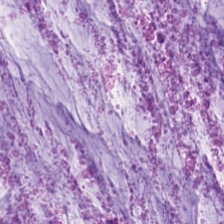H&E-stained tissue section · formalin-fixed paraffin-embedded section.
Histology — mucin.
